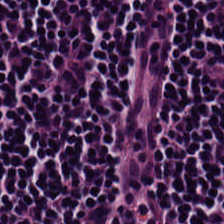224×224 px patch. Hematoxylin-and-eosin stained section. 20× equivalent magnification. Lymphocytic infiltrate.
